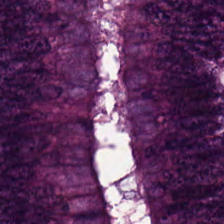Stain: H&E.
Tile size: 224×224 px patch.
Predominant tissue: tumor epithelium.
